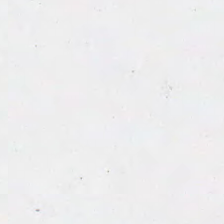Stain: H&E.
Content: background (no tissue).
